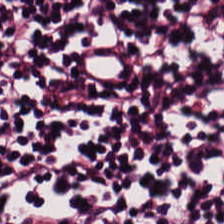Q: What is the predominant tissue type?
A: Lymphoid infiltrate.
